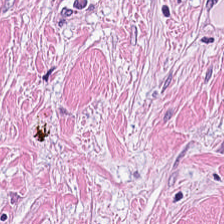Stain: hematoxylin-and-eosin stained section.
Classification: tumor stroma.
